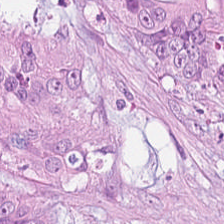224×224 px patch · H&E stain.
Histology — malignant epithelium.
